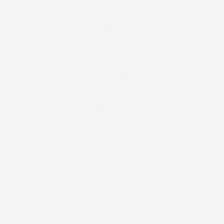Histology → background (no tissue).
